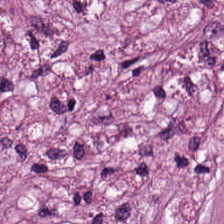Hematoxylin and eosin. 224×224 px tile. Predominantly cancer-associated stroma.
